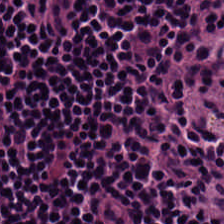0.5 µm/px · H&E stain · brightfield microscopy.
Q: What is shown in this field?
A: This is lymphocyte aggregate.
